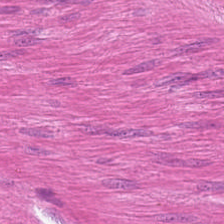0.5 microns per pixel · formalin-fixed paraffin-embedded section · hematoxylin and eosin.
Q: What tissue is shown?
A: Smooth muscle.
